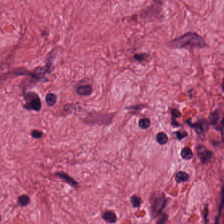H&E stain.
Showing desmoplastic stroma.
